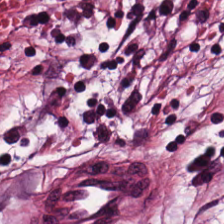H&E-stained tissue section — Q: What tissue is shown?
A: It is desmoplastic stroma.
